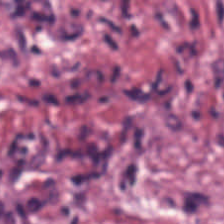Desmoplastic stroma.
